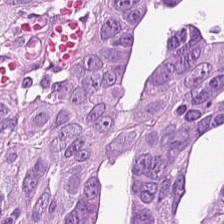H&E stain — Colorectal adenocarcinoma.
